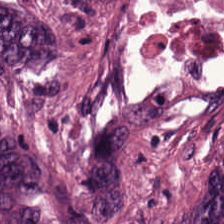Stain: H&E.
Classification: adenocarcinoma.
